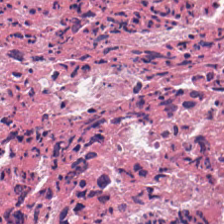Whole-slide-image patch. 0.5 microns per pixel. H&E. Histology — debris.
